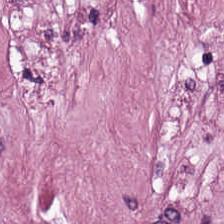Cancer-associated stroma.
